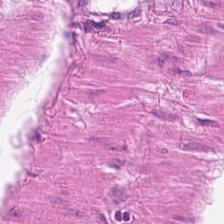H&E — {"tissue_type": "muscularis"}
